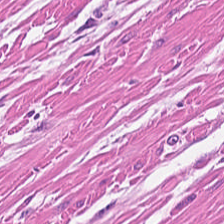H&E stain; formalin-fixed paraffin-embedded section; 224×224 px patch — Impression — muscularis.
